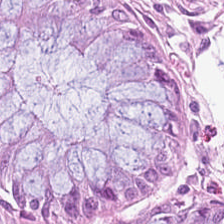Q: What is the predominant tissue type?
A: It is non-neoplastic colon mucosa.
